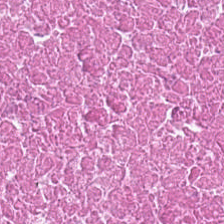H&E-stained tissue section. Classification: cellular debris.
